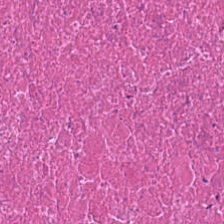Tissue = necrotic debris.
